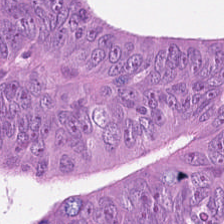H&E — adenocarcinoma.
